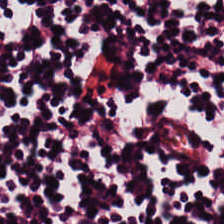Stain: H&E stain.
Tissue class: lymphocyte aggregate.
